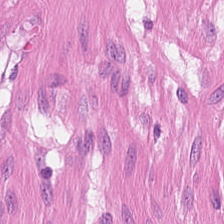H&E-stained tissue section. {"tissue_type": "muscularis"}
